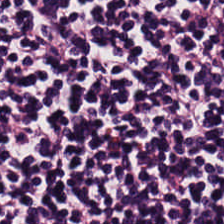H&E-stained tissue section. Predominantly lymphocyte aggregate.
